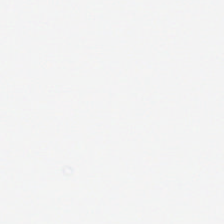H&E-stained tissue section · brightfield · 224×224 pixel tile — Content = empty background.
